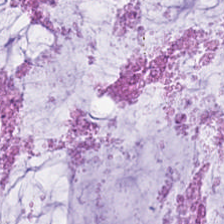H&E. This patch shows mucus.
